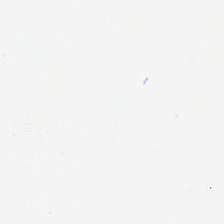H&E-stained tissue section — This patch shows no tissue.
